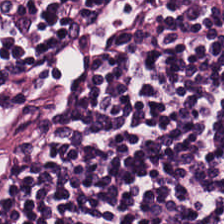H&E patch showing lymphocytic infiltrate.
